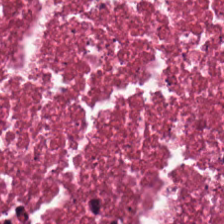Hematoxylin-and-eosin stained section.
Classification = necrotic debris.
